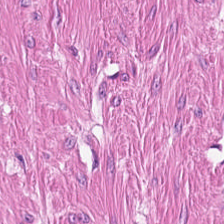FFPE tissue section · hematoxylin-and-eosin stained section.
Q: What is shown here?
A: It is smooth muscle.
